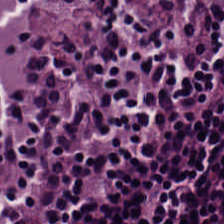Hematoxylin and eosin. 224×224 pixel tile. Showing lymphocytic infiltrate.
